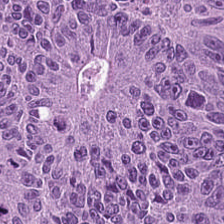Brightfield microscopy. Hematoxylin and eosin. Tissue = colorectal adenocarcinoma epithelium.
